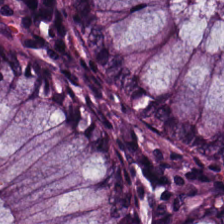H&E — The tissue class is normal colon mucosa.
